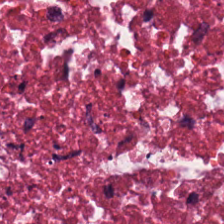Hematoxylin-and-eosin stained section.
Q: What tissue type is shown here?
A: Debris.
